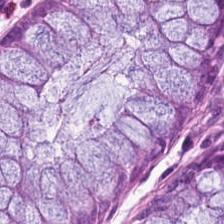Stain: hematoxylin and eosin.
Tissue: non-neoplastic colon mucosa.
